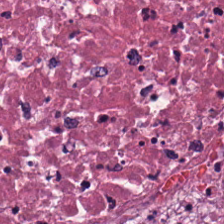Hematoxylin-and-eosin stained section.
Tissue class: debris.
